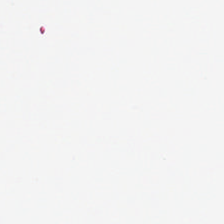Stain: H&E.
Tile size: 224×224 px tile.
Classification: empty background.
